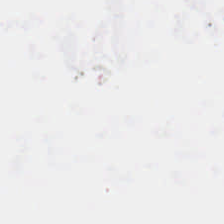Hematoxylin and eosin. 20× equivalent magnification. This patch shows no tissue.
